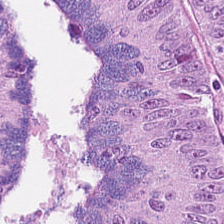Formalin-fixed paraffin-embedded section; hematoxylin-and-eosin stained section; 224×224 px patch — Tissue type: colorectal adenocarcinoma epithelium.
